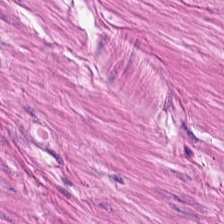Formalin-fixed paraffin-embedded section · 224×224 px tile · hematoxylin and eosin.
Q: What does this patch show?
A: This is smooth muscle.
